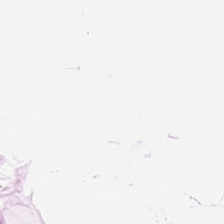H&E · formalin-fixed paraffin-embedded section. The tissue is adipose.
